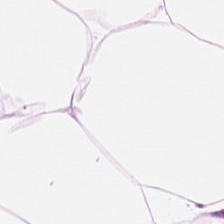Showing fat tissue.
